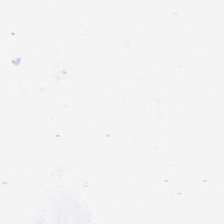{"content": "empty background"}
